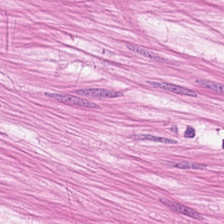H&E stain. WSI patch — Q: Identify the tissue.
A: This is smooth muscle.
